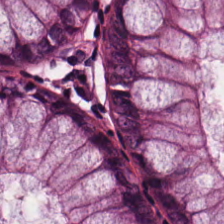Hematoxylin and eosin. This patch shows non-neoplastic colon mucosa.
